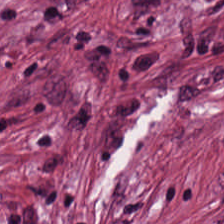224×224 pixel tile. H&E — Q: What is the predominant tissue type?
A: This is tumor-associated stroma.
